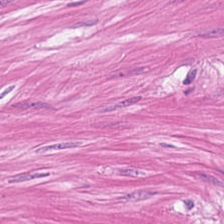Hematoxylin and eosin — Classification = muscularis.
